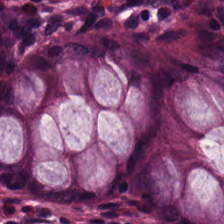Stain: H&E stain.
Tile size: 224×224 pixel tile.
Acquisition: WSI patch.
Tissue: non-neoplastic colon mucosa.
